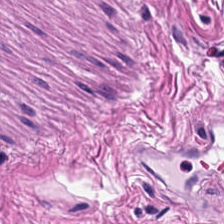H&E; 20× equivalent magnification.
The tissue here is smooth muscle.
